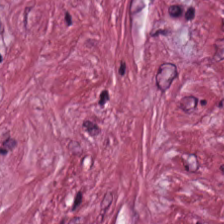Hematoxylin-and-eosin stained section · brightfield — Predominant tissue = tumor stroma.
